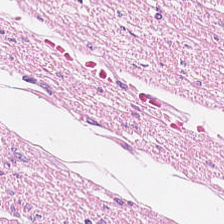Hematoxylin-and-eosin stained section; 224×224 px tile; formalin-fixed paraffin-embedded section — The tissue is muscularis.
